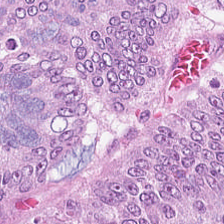Histology → malignant epithelium.
